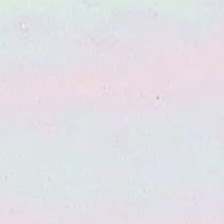Hematoxylin-and-eosin stained section — Content: no tissue.
